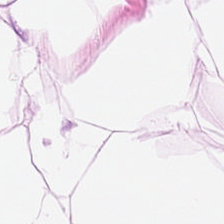Stain: H&E.
Resolution: 0.5 µm per pixel.
Tile size: 224×224 px tile.
Classification: adipocytes.
